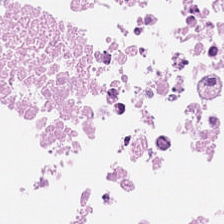20× equivalent magnification; hematoxylin and eosin — This field is debris.
